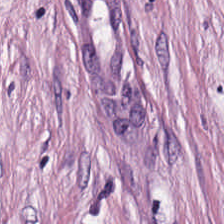Q: What type of tissue is this?
A: The field shows desmoplastic stroma.
